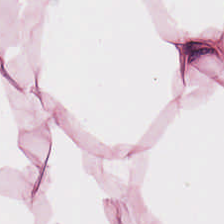Hematoxylin-and-eosin section: adipocytes.
